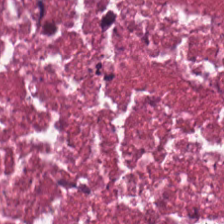Whole-slide-image patch. Hematoxylin and eosin — This field is debris.
